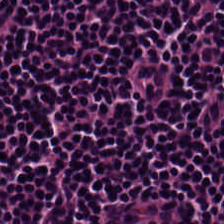H&E stain. 224×224 px tile.
The predominant tissue is lymphocyte aggregate.
